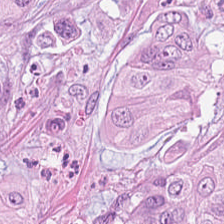Hematoxylin-and-eosin section: adenocarcinoma.
